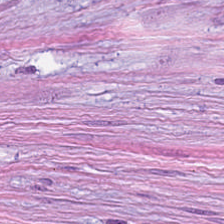Hematoxylin-and-eosin stained section. This patch shows tumor stroma.
